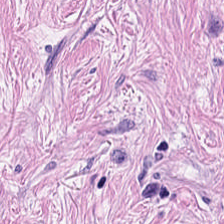Formalin-fixed paraffin-embedded section; 0.5 microns per pixel; H&E stain. This patch shows tumor-associated stroma.
